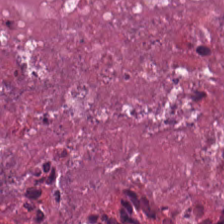H&E. Whole-slide-image patch. 0.5 µm/px — Showing debris.
